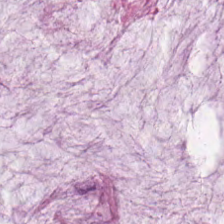H&E stain. 224×224 pixel tile. This field is mucus.
